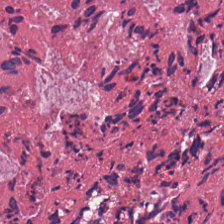H&E-stained tissue section. The predominant tissue is necrotic debris.
